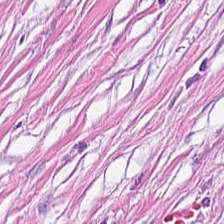Brightfield microscopy · 0.5 µm/px · hematoxylin-and-eosin stained section — Q: What is the predominant tissue type?
A: Cancer-associated stroma.
